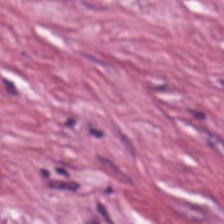H&E-stained tissue section — Tissue class — tumor stroma.
